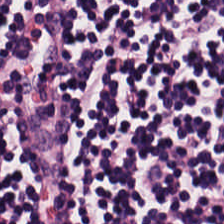Stain: hematoxylin-and-eosin stained section.
Predominant tissue: lymphocyte aggregate.
